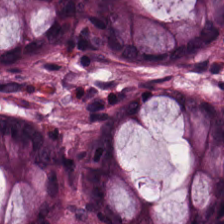Q: What tissue type is shown here?
A: This is normal colon mucosa.
